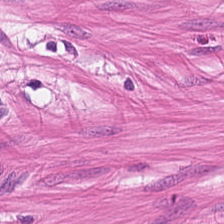Stain: hematoxylin and eosin.
Classification: smooth-muscle tissue.
